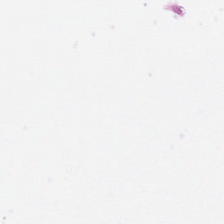Hematoxylin-and-eosin stained section.
Classification = empty background.
